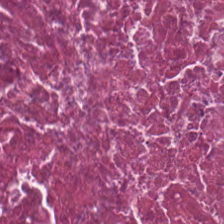Stain: hematoxylin and eosin.
Resolution: 0.5 microns per pixel.
Preparation: FFPE.
Predominant tissue: cellular debris.
